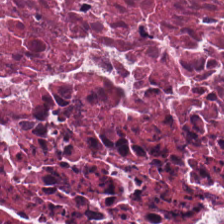Hematoxylin-and-eosin stained section; WSI patch; FFPE. The predominant tissue is cellular debris.
